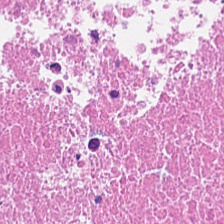H&E. Cellular debris.
